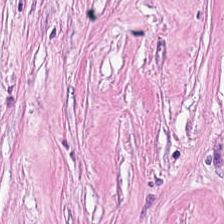H&E. 224×224 pixel tile. FFPE tissue section — The predominant tissue is tumor stroma.
